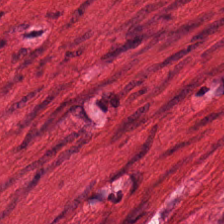H&E stain.
Tissue type: muscularis.
